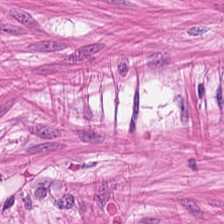Stain: H&E.
Tile size: 224×224 px tile.
Tissue class: smooth-muscle tissue.
